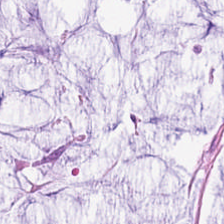Hematoxylin-and-eosin stained section.
The tissue is extracellular mucin.
